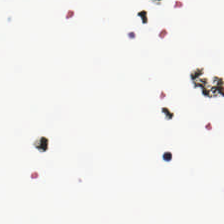Stain: H&E stain.
Classification: background (no tissue).
